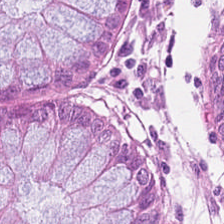Whole-slide-image patch. H&E-stained tissue section.
Q: Identify the tissue.
A: It is non-neoplastic colon mucosa.
